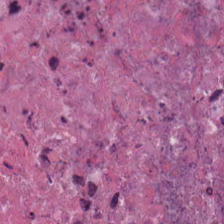Stain: hematoxylin and eosin.
Tissue: necrotic debris.
